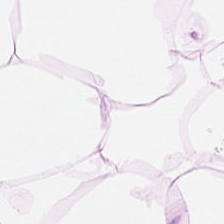Brightfield · H&E stain — Tissue — adipose tissue.
